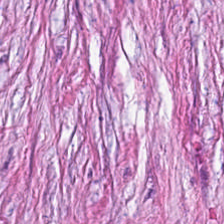Predominantly tumor stroma.
